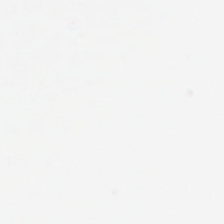Q: What is shown in this field?
A: This is background (no tissue).
